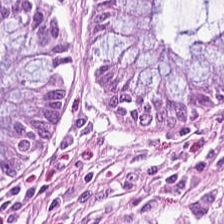Hematoxylin and eosin. 0.5 µm/px. WSI patch — Showing normal colon mucosa.
